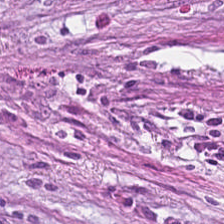H&E-stained tissue section showing desmoplastic stroma.
